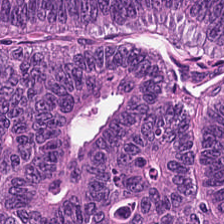H&E stain.
The predominant tissue is malignant epithelium.
